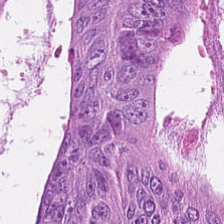Stain: H&E-stained tissue section.
Tile size: 224×224 px tile.
Tissue class: adenocarcinoma.
